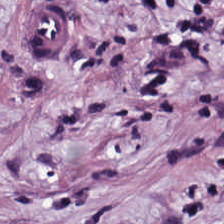Hematoxylin and eosin. Q: What is shown here?
A: The field shows tumor stroma.
